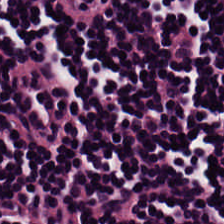Q: What is shown in this field?
A: This is lymphocyte aggregate.
